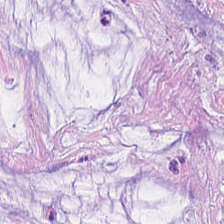Hematoxylin and eosin · FFPE.
Tissue class = extracellular mucin.
